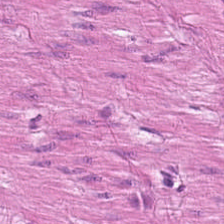The classification is smooth-muscle tissue.
